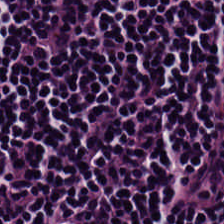Whole-slide-image patch. H&E.
Lymphoid infiltrate.
